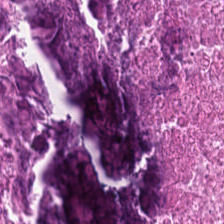Hematoxylin and eosin — Tissue = debris.
